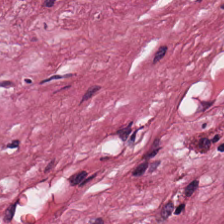Q: Classify this patch.
A: The field shows desmoplastic stroma.
